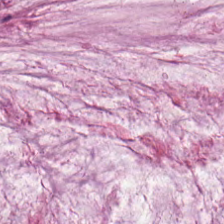Hematoxylin and eosin. Classification = mucus.
